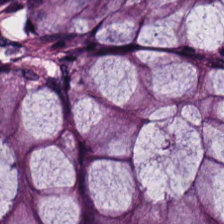Showing normal colonic mucosa.
